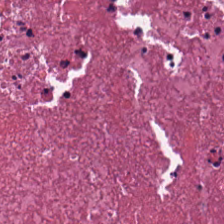Brightfield. Hematoxylin and eosin — {"tissue_type": "cellular debris"}
